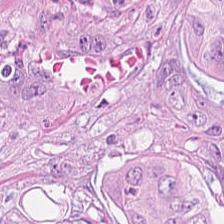0.5 µm/px · whole-slide-image patch · hematoxylin-and-eosin stained section — Impression — colorectal adenocarcinoma epithelium.
